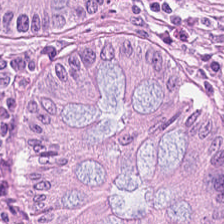H&E-stained tissue section.
The tissue here is normal colonic mucosa.
